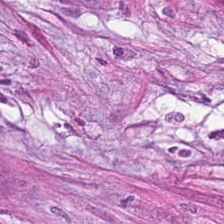H&E-stained tissue section. The tissue is tumor-associated stroma.
